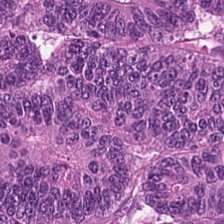H&E-stained tissue section — Finding → colorectal adenocarcinoma.
